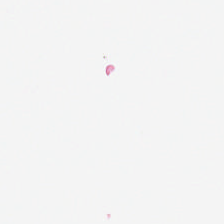Hematoxylin-and-eosin stained section. This field is background (no tissue).
